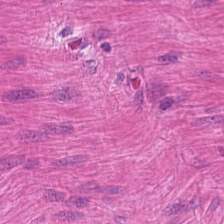The predominant tissue is smooth muscle.
